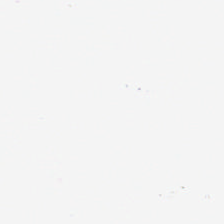H&E-stained tissue section — Impression → empty background.
